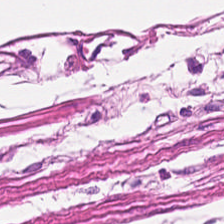H&E stain · 224×224 px patch — Impression → muscularis.
